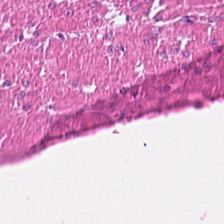Stain: H&E-stained tissue section.
Preparation: FFPE tissue section.
Acquisition: WSI patch.
Tissue type: smooth-muscle tissue.
